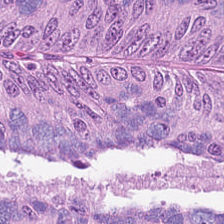Stain: H&E-stained tissue section.
Tissue class: colorectal adenocarcinoma.
